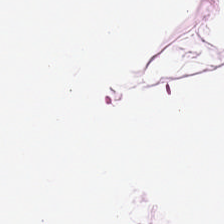H&E-stained tissue section; brightfield microscopy. Tissue — adipose tissue.
